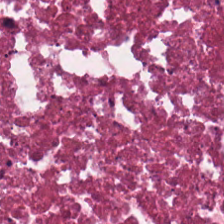H&E — Debris.
